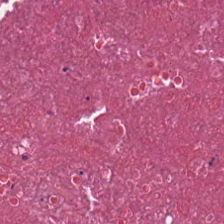Hematoxylin and eosin. Brightfield — Classification — necrotic debris.
